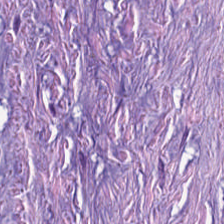Formalin-fixed paraffin-embedded section · H&E stain · 224×224 pixel tile. Impression — tumor-associated stroma.
